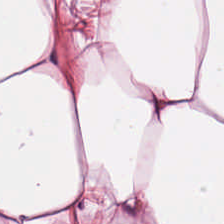H&E stain — Histology → fat tissue.
